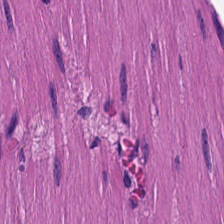H&E stain — Impression → smooth muscle.
